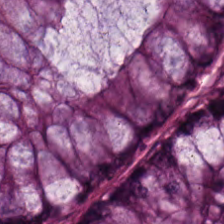Hematoxylin-and-eosin stained section. Q: Classify this patch.
A: It is normal colonic mucosa.
